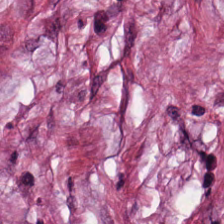H&E stain.
Q: What does this patch show?
A: It is tumor stroma.
